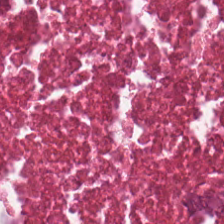Stain: hematoxylin and eosin.
Acquisition: whole-slide-image patch.
Tissue class: debris.
